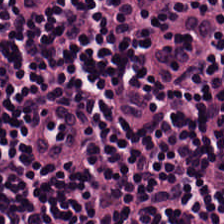H&E.
Q: What is shown here?
A: This is lymphocytic infiltrate.
